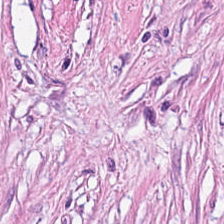Finding → desmoplastic stroma.
